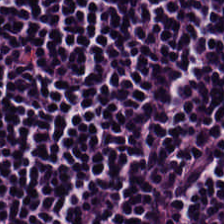H&E. The tissue class is lymphoid infiltrate.
